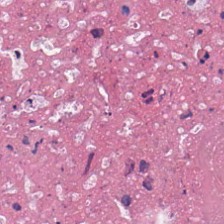0.5 µm/px · H&E stain. Predominant tissue — debris.
